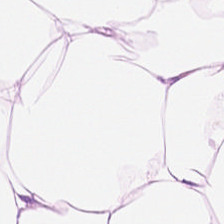H&E patch showing adipose tissue.
